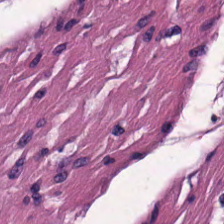20× equivalent magnification · H&E stain · WSI patch — This patch shows smooth muscle.
